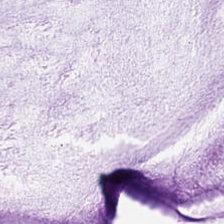Hematoxylin-and-eosin stained section; WSI patch. Predominantly mucin.
